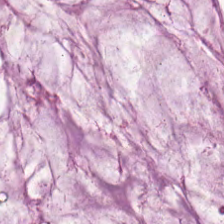{"tissue_type": "mucin"}
